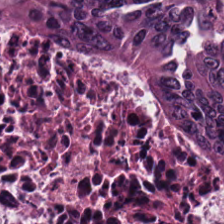Finding — tumor epithelium.
